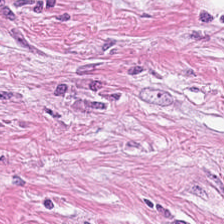H&E. Brightfield microscopy. Q: What is shown here?
A: Tumor stroma.
